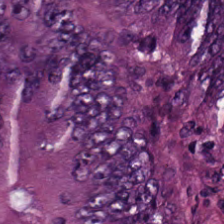H&E stain — The tissue is colorectal adenocarcinoma.
